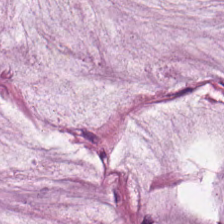This field is mucin.
